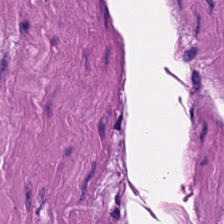Hematoxylin-and-eosin stained section — {"tissue_type": "smooth-muscle tissue"}
